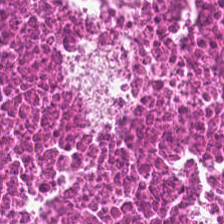H&E — Classification — debris.
